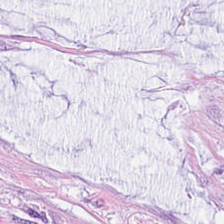Q: What type of tissue is this?
A: It is mucus.
